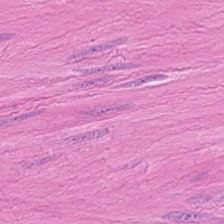FFPE · H&E-stained tissue section · brightfield.
Showing muscularis.
